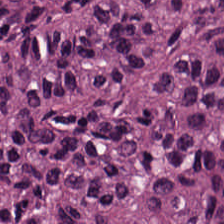Whole-slide-image patch. 224×224 px tile. H&E-stained tissue section.
The predominant tissue is adenocarcinoma.
